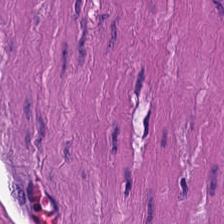Hematoxylin and eosin · 224×224 px tile. Tissue class = smooth-muscle tissue.
